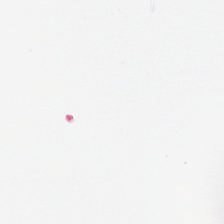Hematoxylin and eosin — Empty field — no tissue.
